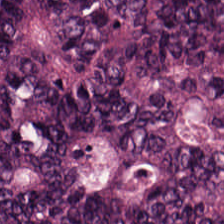H&E-stained tissue section — The tissue is adenocarcinoma.
